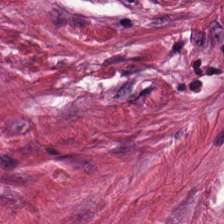Q: Identify the tissue.
A: This is tumor stroma.
